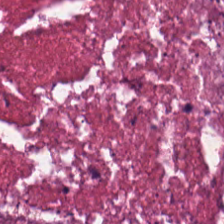Q: What does this patch show?
A: The field shows cellular debris.
